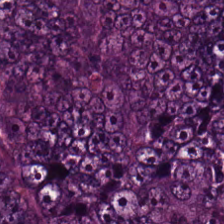Hematoxylin-and-eosin stained section · FFPE. Q: What is shown in this field?
A: The field shows colorectal adenocarcinoma.
